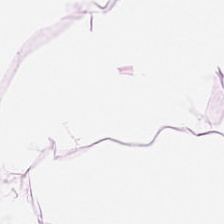Showing adipose.
